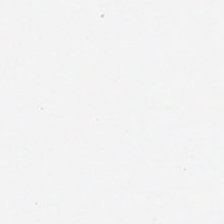Hematoxylin-and-eosin stained section · 224×224 px tile — Q: What does this patch show?
A: This is no tissue.
